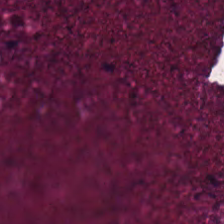Stain: hematoxylin-and-eosin stained section.
Tissue class: necrotic debris.
